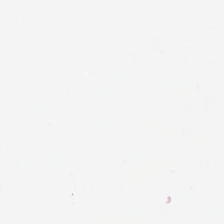This field is background (no tissue).
